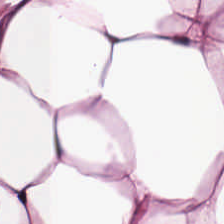Hematoxylin-and-eosin stained section. The predominant tissue is fat tissue.
